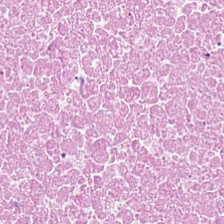Showing cellular debris.
